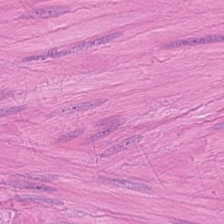Brightfield · H&E-stained tissue section · 224×224 px tile. Q: What does this patch show?
A: This is muscularis.
